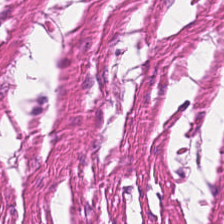Finding → smooth muscle.
